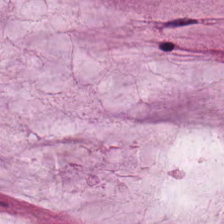H&E. Mucus.
